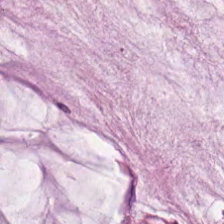H&E stain. Tissue type — mucin.
